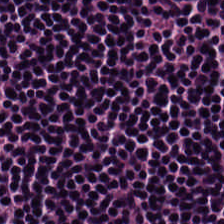The predominant tissue is lymphocytes.
